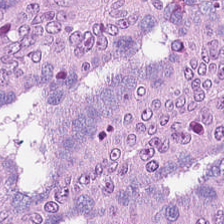Hematoxylin and eosin.
The predominant tissue is malignant epithelium.
